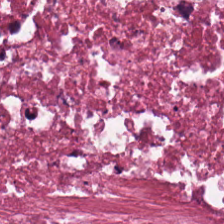Hematoxylin and eosin. 0.5 microns per pixel. Brightfield microscopy. {"tissue_type": "necrotic debris"}
